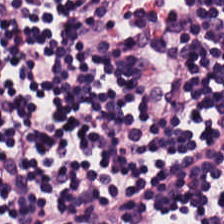0.5 µm/px. H&E-stained tissue section. 224×224 px tile. Predominant tissue = lymphocytes.
